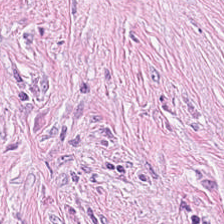Stain: hematoxylin-and-eosin stained section.
Resolution: 0.5 µm per pixel.
Predominant tissue: desmoplastic stroma.
